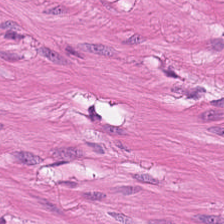Stain: H&E stain.
Classification: smooth muscle.
